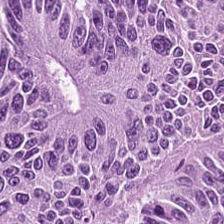Hematoxylin-and-eosin stained section · whole-slide-image patch.
Adenocarcinoma.
